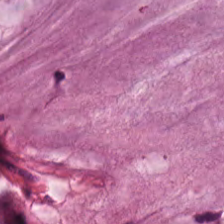H&E patch showing mucin.
